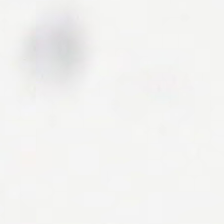Stain: H&E.
Content: no tissue.
